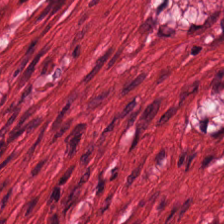Brightfield microscopy · H&E stain.
Tissue class — smooth muscle.
